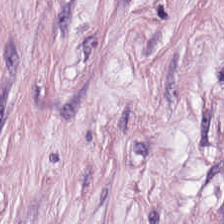Q: What is the predominant tissue type?
A: This is cancer-associated stroma.
